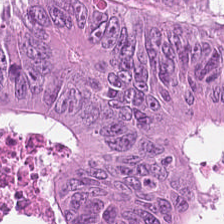H&E-stained tissue section.
This field is colorectal adenocarcinoma epithelium.
